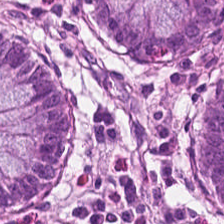Stain: H&E-stained tissue section.
Acquisition: WSI patch.
Classification: non-neoplastic colon mucosa.
